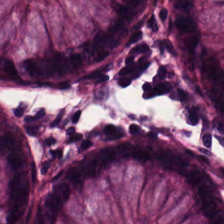Hematoxylin-and-eosin stained section; whole-slide-image patch — Q: Identify the tissue.
A: The field shows benign colonic mucosa.
